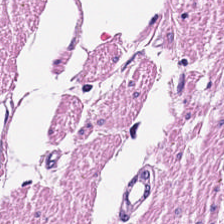Hematoxylin and eosin.
Smooth-muscle tissue.
